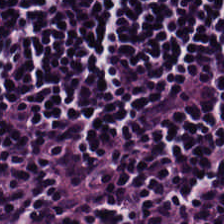224×224 px patch; H&E-stained tissue section; brightfield.
Tissue type: lymphocytic infiltrate.
